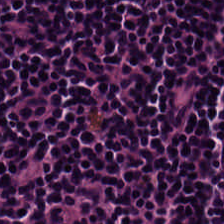Stain: H&E-stained tissue section.
Tile size: 224×224 px patch.
Preparation: formalin-fixed paraffin-embedded section.
Tissue: lymphocytes.
